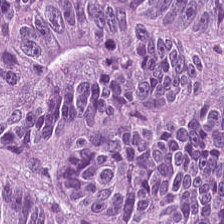Whole-slide-image patch · hematoxylin-and-eosin stained section · formalin-fixed paraffin-embedded section. Q: What tissue is shown?
A: It is tumor epithelium.
